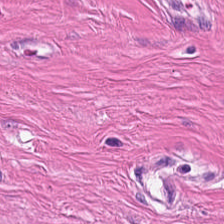0.5 µm per pixel; 224×224 px patch; H&E-stained tissue section — Q: What is the predominant tissue type?
A: This is muscularis.
